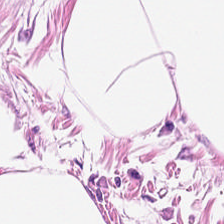H&E-stained tissue section.
Predominantly fat tissue.
